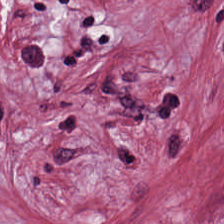H&E patch showing tumor stroma.
